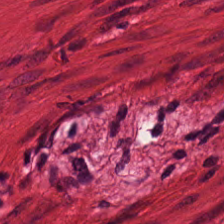FFPE · hematoxylin and eosin. Tissue class: smooth-muscle tissue.
